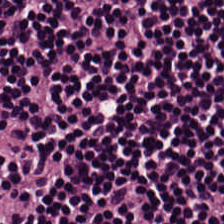H&E-stained tissue section.
Tissue class: lymphocytes.
